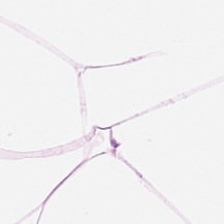H&E stain. 224×224 pixel tile. Whole-slide-image patch — Tissue class = adipose tissue.
